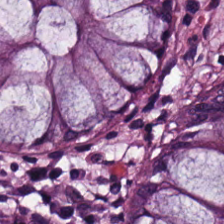H&E-stained tissue section. Impression — normal colonic mucosa.
